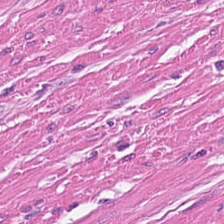H&E-stained tissue section.
Predominantly smooth muscle.
